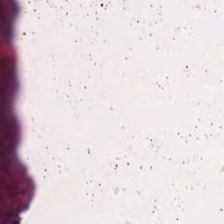20× equivalent magnification. Hematoxylin-and-eosin stained section.
Q: Identify the tissue.
A: This is necrotic debris.
